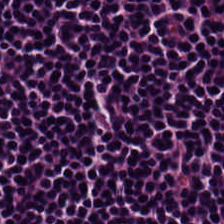Stain: hematoxylin and eosin.
Tissue: lymphocyte aggregate.
